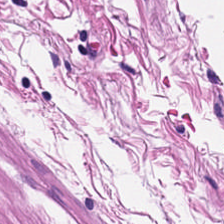Predominantly smooth-muscle tissue.
